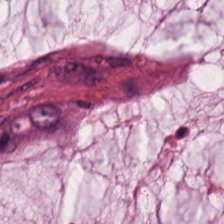Q: What tissue is shown?
A: Mucin.
